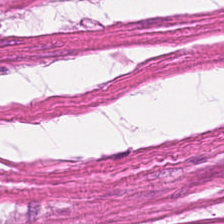224×224 px patch. H&E stain. WSI patch. {"tissue_type": "muscularis"}
